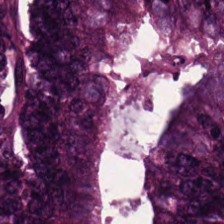Q: What is the predominant tissue type?
A: It is colorectal adenocarcinoma epithelium.
